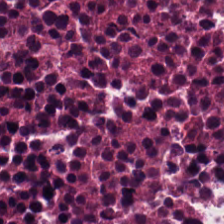WSI patch. Formalin-fixed paraffin-embedded section. H&E-stained tissue section. Classification: debris.
